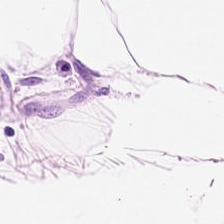H&E stain; formalin-fixed paraffin-embedded section; 224×224 px patch — Q: What does this patch show?
A: Adipocytes.
